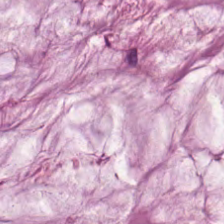H&E stain · 224×224 px patch. Tissue type: extracellular mucin.
